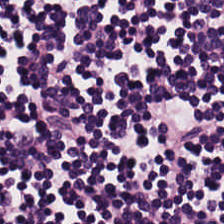0.5 µm/px. H&E stain.
Finding → lymphocytes.
